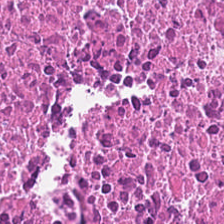0.5 µm/px · H&E-stained tissue section. The tissue class is cellular debris.
